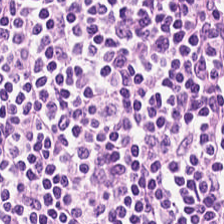224×224 px tile; H&E-stained tissue section. Classification: lymphocytic infiltrate.
